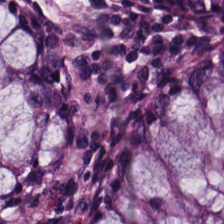Hematoxylin and eosin; formalin-fixed paraffin-embedded section; 224×224 pixel tile.
Tissue class — non-neoplastic colon mucosa.
